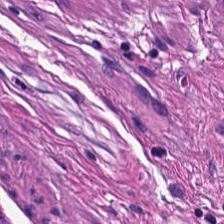Hematoxylin-and-eosin section: smooth muscle.
